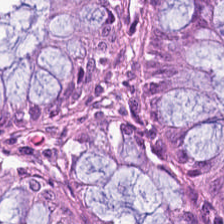Hematoxylin-and-eosin stained section. Classification: normal colonic mucosa.
